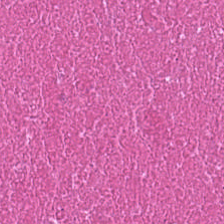Stain: H&E stain.
Predominant tissue: debris.
